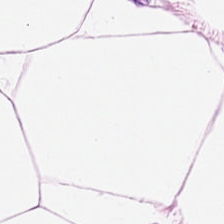Stain: hematoxylin and eosin.
Tissue class: adipose.
